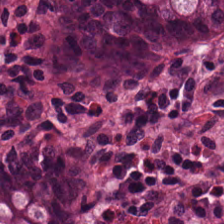H&E stain. Q: What tissue type is shown here?
A: This is non-neoplastic colon mucosa.
